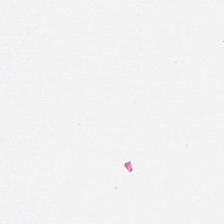Hematoxylin and eosin.
The content is background (no tissue).
